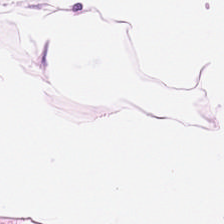Stain: H&E-stained tissue section.
Acquisition: WSI patch.
Tissue: adipose.
